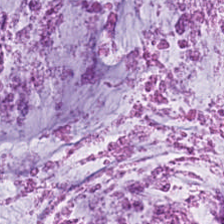Stain: H&E.
Tile size: 224×224 pixel tile.
Predominant tissue: mucin.
